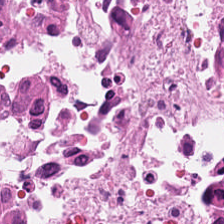Whole-slide-image patch · hematoxylin-and-eosin stained section.
Predominantly debris.
